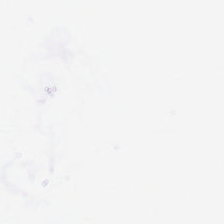Hematoxylin-and-eosin stained section — Q: What is shown in this field?
A: It is no tissue.
